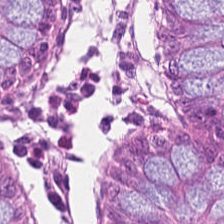The tissue class is benign colonic mucosa.
